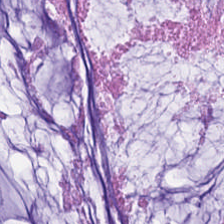Hematoxylin and eosin. This field is mucus.
